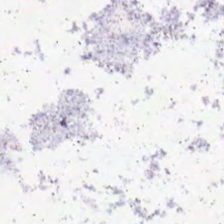H&E-stained tissue section. FFPE. Finding — no tissue.
